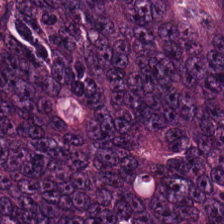Brightfield microscopy. 0.5 µm/px. H&E stain.
Histology — tumor epithelium.
